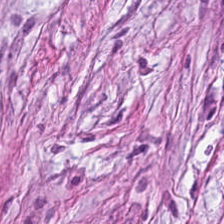H&E. Predominantly tumor-associated stroma.
